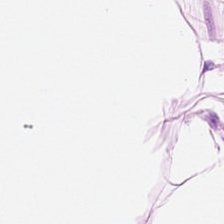The predominant tissue is adipose tissue.
